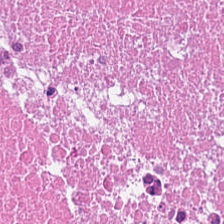Hematoxylin-and-eosin stained section. Finding — cellular debris.
